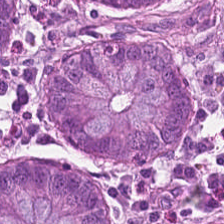Hematoxylin and eosin; 0.5 µm per pixel; brightfield microscopy. Tissue type: benign colonic mucosa.
